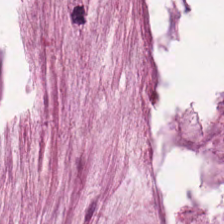Showing mucin.
